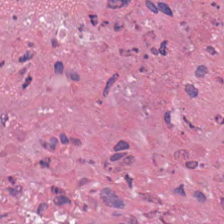224×224 px patch; H&E. Tissue class: debris.
